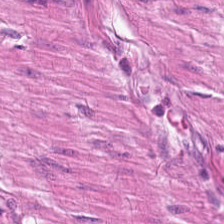Q: What is shown in this field?
A: Smooth muscle.
